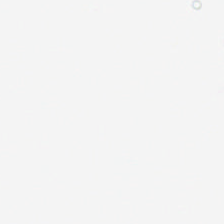H&E. Histology — no tissue.
